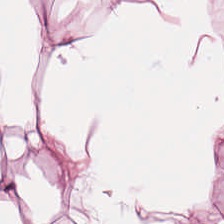Q: What type of tissue is this?
A: Adipose.
